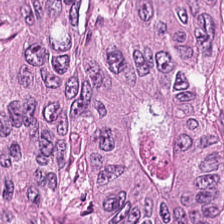Hematoxylin and eosin. Brightfield microscopy — Predominant tissue = adenocarcinoma.
